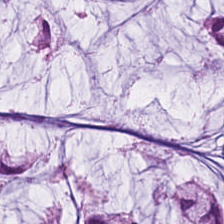H&E-stained tissue section. This field is mucin.
